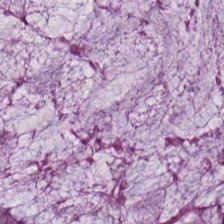Hematoxylin and eosin — {"tissue_type": "non-neoplastic colon mucosa"}
